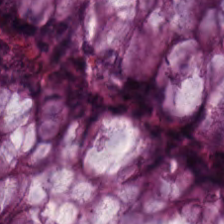Finding → benign colonic mucosa.
